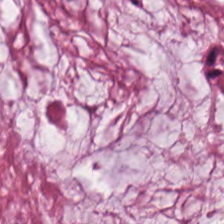Hematoxylin and eosin.
Finding → mucus.
